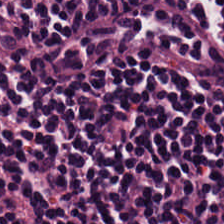224×224 pixel tile. H&E-stained tissue section. Q: What type of tissue is this?
A: This is lymphocyte aggregate.
